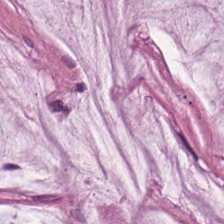Impression → mucus.
